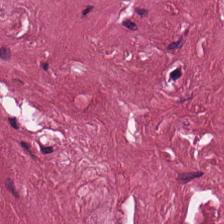Hematoxylin and eosin. {"tissue_type": "desmoplastic stroma"}
